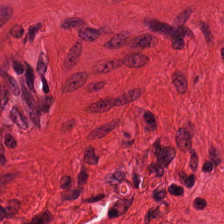224×224 px tile; H&E-stained tissue section.
{"tissue_type": "muscularis"}
